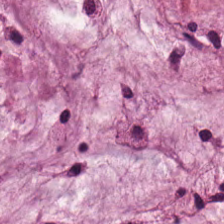Hematoxylin-and-eosin stained section — Predominant tissue — mucin.
